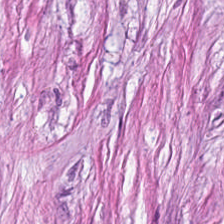Hematoxylin and eosin; FFPE. This field is desmoplastic stroma.
